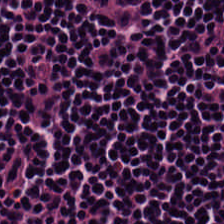FFPE. Hematoxylin and eosin. The predominant tissue is lymphoid infiltrate.
